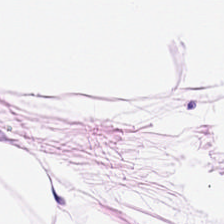Hematoxylin and eosin · whole-slide-image patch. Adipocytes.
